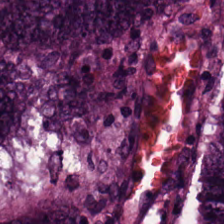Stain: hematoxylin-and-eosin stained section.
Tissue class: malignant epithelium.
